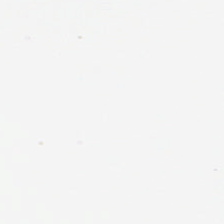H&E stain. Brightfield — Finding → empty background.
